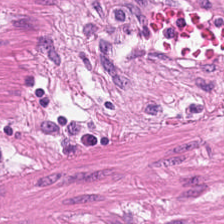Impression → smooth-muscle tissue.
